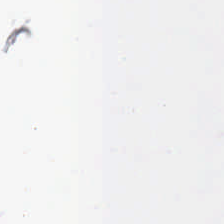H&E stain — The content is no tissue.
